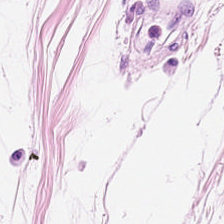Showing fat tissue.
